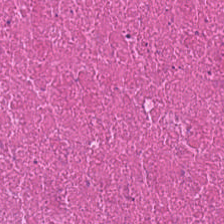Hematoxylin-and-eosin stained section.
Tissue class = cellular debris.
